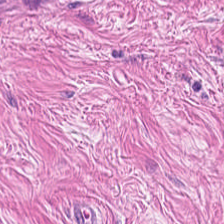0.5 µm per pixel · H&E stain · 224×224 pixel tile — Impression — smooth muscle.
